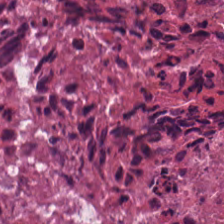Classification — cellular debris.
